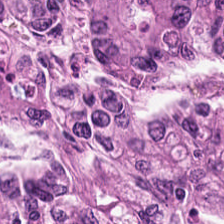Tissue type: adenocarcinoma.
